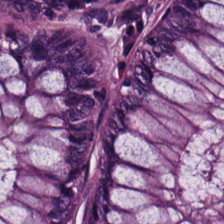H&E. {"tissue_type": "normal colonic mucosa"}
